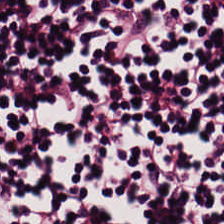Hematoxylin and eosin — This field is lymphocytic infiltrate.
